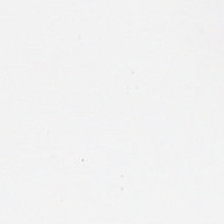Stain: H&E.
Field content: no tissue.
